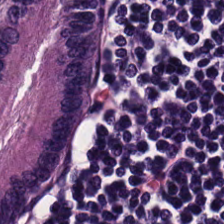H&E.
Q: What is shown in this field?
A: Lymphocytes.
